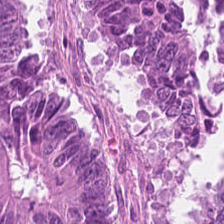Hematoxylin-and-eosin stained section — Showing colorectal adenocarcinoma.
